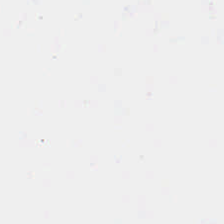Q: What does this patch show?
A: The field shows no tissue.
